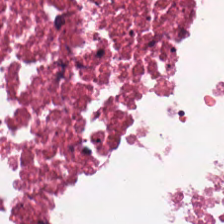Formalin-fixed paraffin-embedded section; H&E; 224×224 pixel tile.
Classification: debris.
